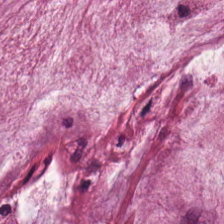Histology → mucin.
